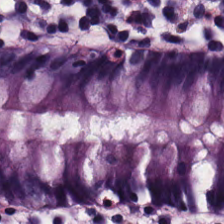Hematoxylin and eosin. Tissue: normal colon mucosa.
